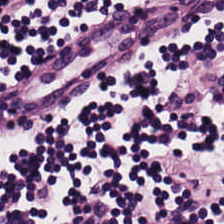20× equivalent magnification; H&E stain; 224×224 px patch.
Histology — lymphoid infiltrate.
